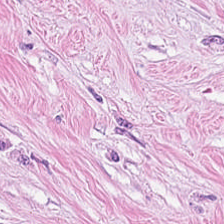Hematoxylin-and-eosin stained section. Whole-slide-image patch — Tissue class: cancer-associated stroma.
